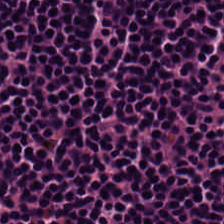H&E-stained tissue section. 0.5 µm per pixel. This patch shows lymphocytes.
